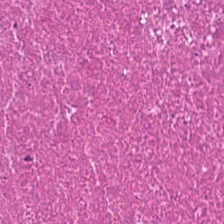H&E.
The predominant tissue is debris.
